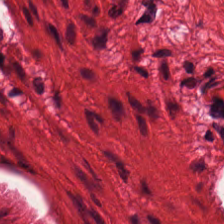H&E-stained section; the field shows smooth-muscle tissue.
